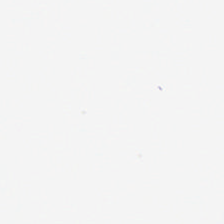H&E.
This patch shows background (no tissue).
